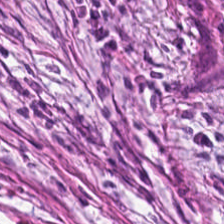WSI patch; hematoxylin-and-eosin stained section — Showing cancer-associated stroma.
